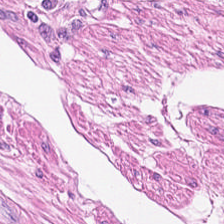H&E — Classification: muscularis.
